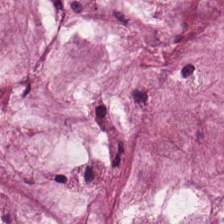Extracellular mucin.
